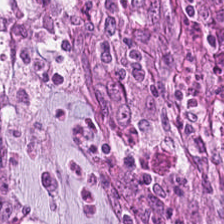H&E.
Classification = tumor epithelium.
